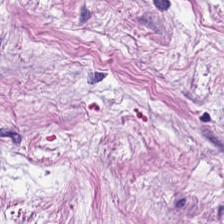Hematoxylin-and-eosin stained section; 0.5 µm/px. Q: What is the predominant tissue type?
A: Tumor stroma.
